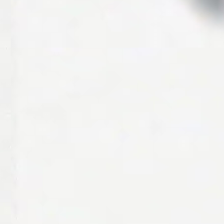Hematoxylin-and-eosin stained section — No tissue.
